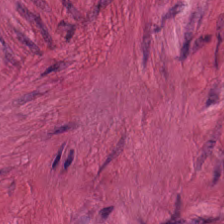Classification = smooth muscle.
